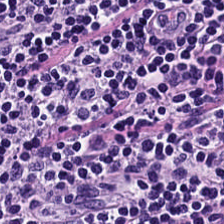Hematoxylin-and-eosin stained section. Tissue class = lymphocyte aggregate.
